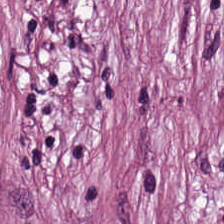H&E — Showing tumor-associated stroma.
